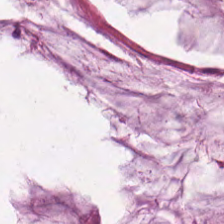H&E · WSI patch — Q: Identify the tissue.
A: It is extracellular mucin.
